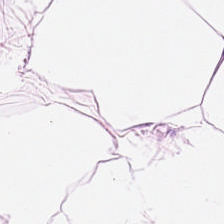0.5 µm per pixel. Hematoxylin and eosin — This field is fat tissue.
